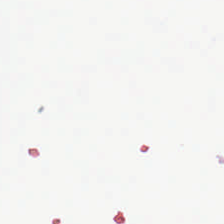Hematoxylin and eosin. Q: What is shown here?
A: It is background.
